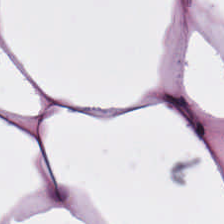Stain: hematoxylin and eosin.
Resolution: 0.5 µm/px.
Predominant tissue: adipocytes.
